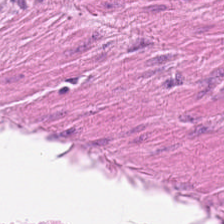H&E-stained tissue section; formalin-fixed paraffin-embedded section; 20× equivalent magnification — Predominantly muscularis.
